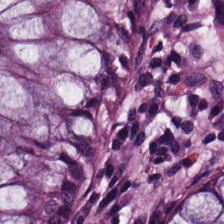H&E-stained tissue section showing non-neoplastic colon mucosa.
